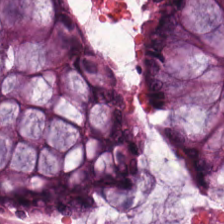Stain: H&E-stained tissue section.
Preparation: FFPE tissue section.
Acquisition: whole-slide-image patch.
Tissue class: normal colon mucosa.
